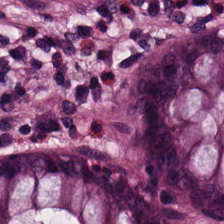H&E stain — Q: What is shown here?
A: Non-neoplastic colon mucosa.
